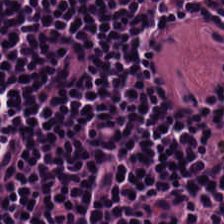This patch shows lymphocyte aggregate.
